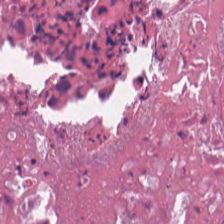Predominant tissue — debris.
